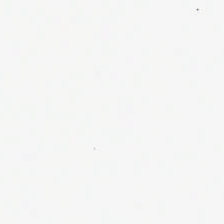H&E stain — Empty field — background.
